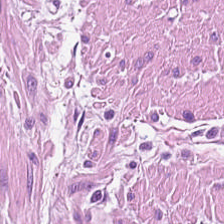H&E patch showing smooth-muscle tissue.
